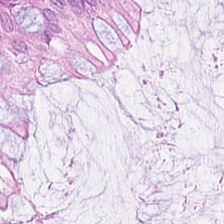H&E-stained tissue section. Impression → non-neoplastic colon mucosa.
